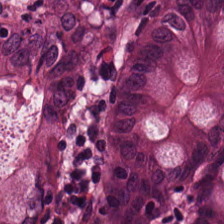FFPE. Hematoxylin and eosin — Q: What is the predominant tissue type?
A: This is benign colonic mucosa.
